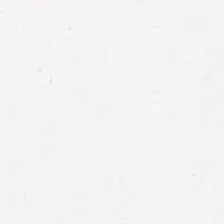H&E-stained tissue section.
Classification = background.
